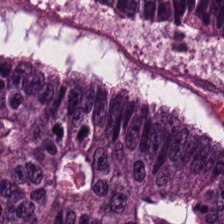H&E stain; brightfield. Classification: colorectal adenocarcinoma.
